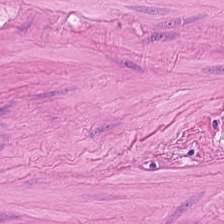Stain: hematoxylin-and-eosin stained section.
Predominant tissue: smooth-muscle tissue.
